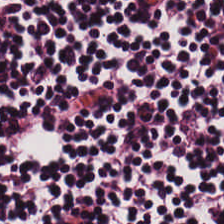Q: What tissue is shown?
A: This is lymphocytes.
